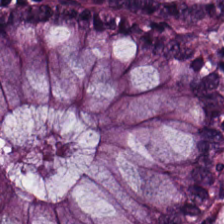Hematoxylin-and-eosin stained section; WSI patch — Tissue class = normal colon mucosa.
